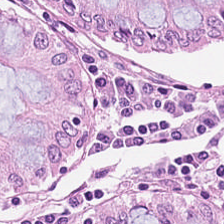Hematoxylin-and-eosin stained section. Tissue class = normal colon mucosa.
